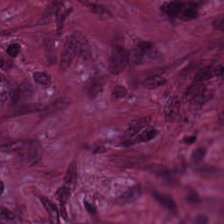Stain: hematoxylin-and-eosin stained section.
Tissue class: tumor stroma.
